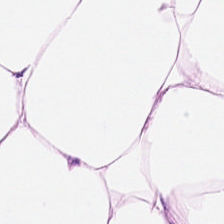H&E — The tissue type is adipocytes.
